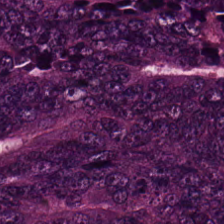FFPE; H&E stain. Q: What tissue type is shown here?
A: This is colorectal adenocarcinoma epithelium.
